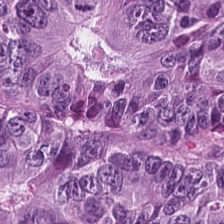H&E. 224×224 px tile. 0.5 µm per pixel — Impression — adenocarcinoma.
